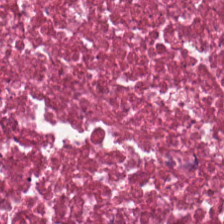224×224 px tile; H&E; 0.5 µm per pixel. The predominant tissue is cellular debris.
